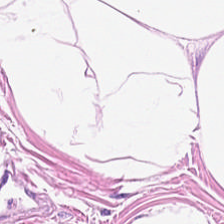Brightfield. H&E-stained tissue section.
Classification = adipocytes.
